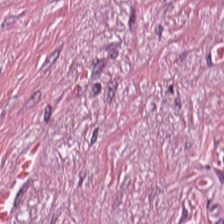Whole-slide-image patch; H&E-stained tissue section — Predominantly tumor-associated stroma.
